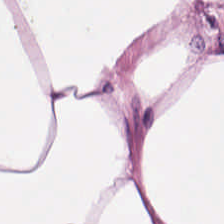H&E; 0.5 microns per pixel — Predominantly adipose.
